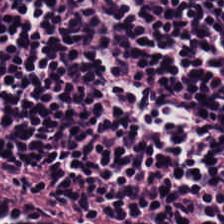Tissue type — lymphocytes.
